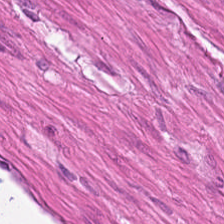224×224 px patch · hematoxylin-and-eosin stained section — Histology → muscularis.
